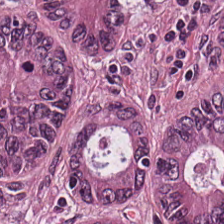Stain: hematoxylin-and-eosin stained section.
Tissue: malignant epithelium.
